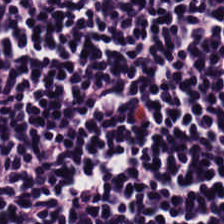H&E — Q: What is shown here?
A: It is lymphocytes.
